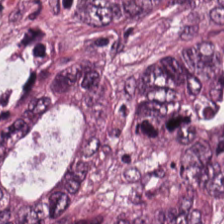Whole-slide-image patch. H&E-stained tissue section. Classification — adenocarcinoma.
